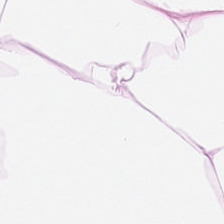FFPE tissue section; brightfield; hematoxylin-and-eosin stained section.
The tissue is adipose.
